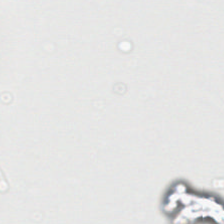H&E.
Classification — no tissue.
